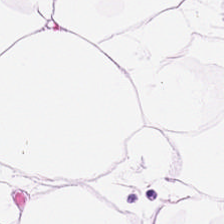H&E. 0.5 µm per pixel.
Predominantly adipose tissue.
